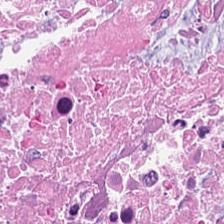Impression → necrotic debris.
